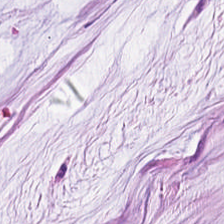H&E-stained tissue section — Tissue class = mucin.
